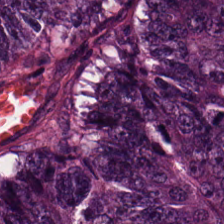H&E — Tissue type: colorectal adenocarcinoma epithelium.
